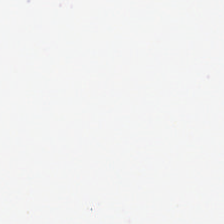Q: What does this patch show?
A: No tissue.
